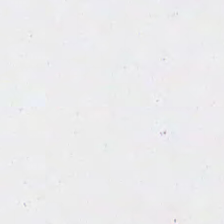H&E stain; 0.5 microns per pixel — The field content is empty background.
